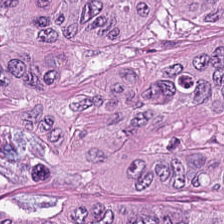Hematoxylin-and-eosin stained section — Adenocarcinoma.
